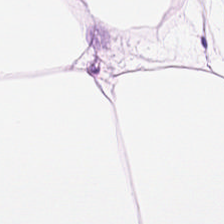H&E stain. 224×224 pixel tile — The predominant tissue is fat tissue.
